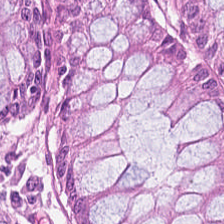WSI patch; H&E-stained tissue section; formalin-fixed paraffin-embedded section. The tissue here is benign colonic mucosa.
